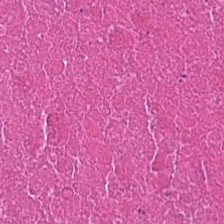H&E-stained tissue section. 224×224 px patch. 0.5 µm per pixel. The predominant tissue is necrotic debris.
